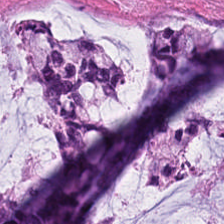224×224 px tile · H&E-stained tissue section. Q: What does this patch show?
A: This is mucin.
